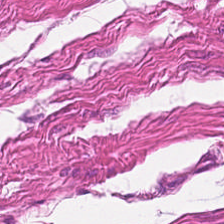H&E. Showing smooth muscle.
